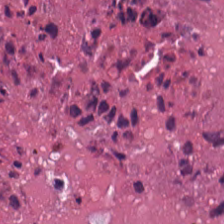Hematoxylin and eosin.
Finding — necrotic debris.
